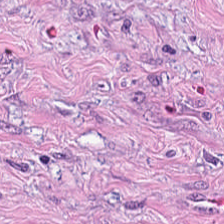Tissue type: tumor-associated stroma.
